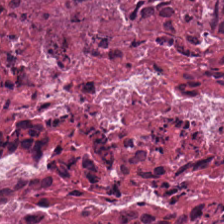H&E.
Q: Identify the tissue.
A: It is debris.
